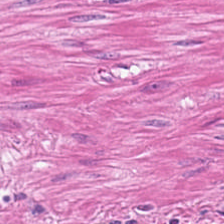H&E stain · 0.5 µm per pixel.
This patch shows muscularis.
